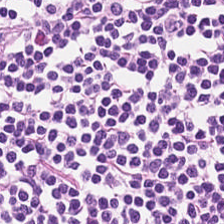224×224 pixel tile. Hematoxylin and eosin. Histology → lymphocytic infiltrate.
